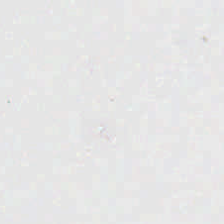H&E stain · 224×224 px tile. This patch shows background (no tissue).
